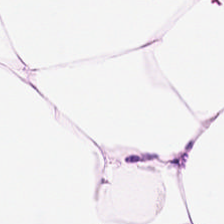Stain: H&E stain.
Tissue class: adipose tissue.
